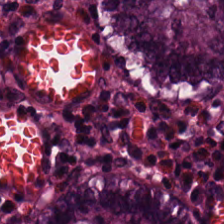Brightfield microscopy; 0.5 µm/px; hematoxylin-and-eosin stained section. Tissue class = normal colonic mucosa.
